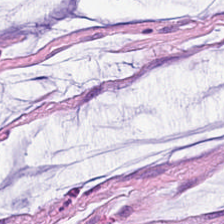Q: What does this patch show?
A: It is mucin.
